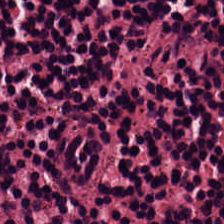H&E · 224×224 px patch. The predominant tissue is lymphoid infiltrate.
